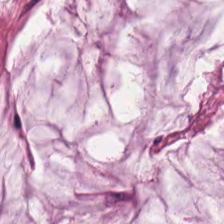Hematoxylin and eosin · WSI patch · formalin-fixed paraffin-embedded section — Predominant tissue: mucin.
